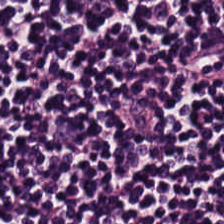224×224 pixel tile · hematoxylin and eosin — This field is lymphocytes.
